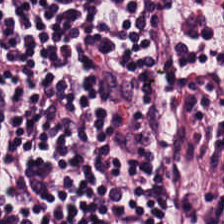H&E stain — Tissue — lymphoid infiltrate.
